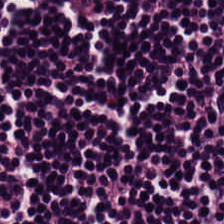H&E-stained tissue section — This patch shows lymphocyte aggregate.
